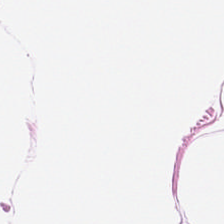0.5 microns per pixel. 224×224 px tile. H&E-stained tissue section. Q: What tissue type is shown here?
A: Adipose.
